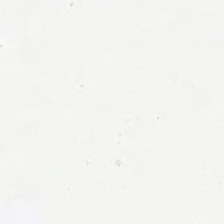WSI patch; H&E-stained tissue section; 0.5 µm per pixel.
Q: What is shown here?
A: The field shows empty background.
